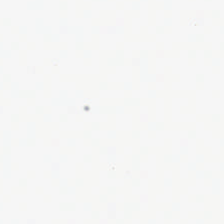H&E — Field content — empty background.
